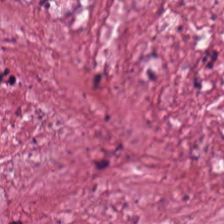Stain: H&E.
Tile size: 224×224 px tile.
Acquisition: whole-slide-image patch.
Predominant tissue: tumor stroma.
